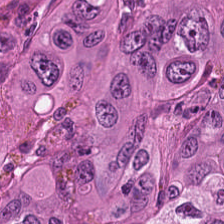H&E-stained tissue section · FFPE tissue section · whole-slide-image patch. Tissue = colorectal adenocarcinoma.
